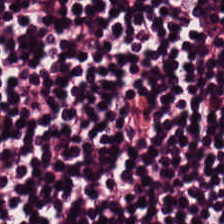Stain: H&E.
Tissue type: lymphocytic infiltrate.
